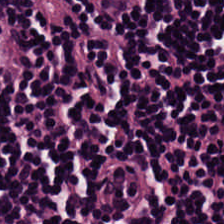H&E stain · 224×224 px patch.
Finding — lymphocytes.
